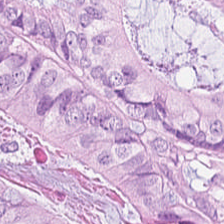Hematoxylin and eosin.
Q: What tissue is shown?
A: This is colorectal adenocarcinoma.
